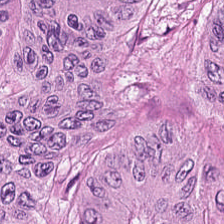The tissue type is tumor epithelium.
